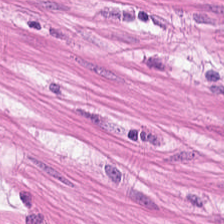This field is smooth muscle.
